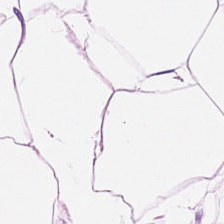Predominantly fat tissue.
